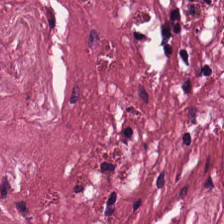Q: What does this patch show?
A: The field shows cancer-associated stroma.
